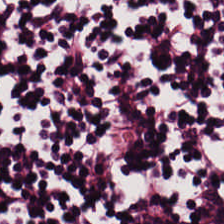224×224 px tile. H&E-stained tissue section — This patch shows lymphocytic infiltrate.
